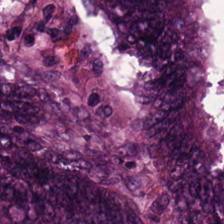The predominant tissue is colorectal adenocarcinoma.
